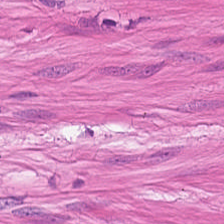Hematoxylin and eosin · 0.5 µm/px. This field is muscularis.
